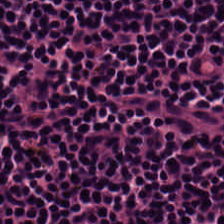H&E stain; 0.5 µm per pixel — Classification: lymphoid infiltrate.
